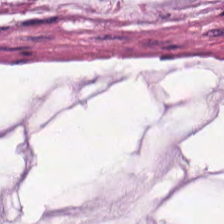H&E — The tissue here is extracellular mucin.
